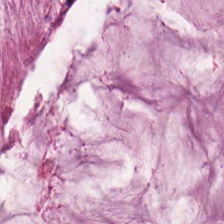H&E-stained tissue section — Q: Identify the tissue.
A: This is mucus.
